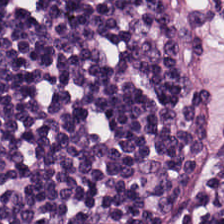Brightfield. 0.5 microns per pixel. Hematoxylin and eosin.
Predominant tissue — lymphocyte aggregate.
